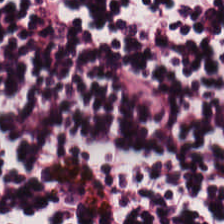Hematoxylin and eosin. This patch shows lymphocytic infiltrate.
